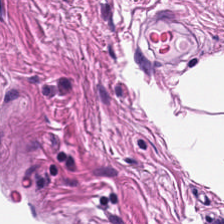224×224 px patch. FFPE tissue section. H&E stain. The predominant tissue is smooth muscle.
